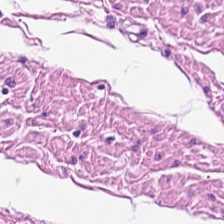Hematoxylin-and-eosin stained section. Tissue type = smooth-muscle tissue.
